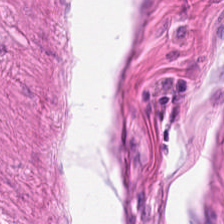H&E.
The predominant tissue is muscularis.
